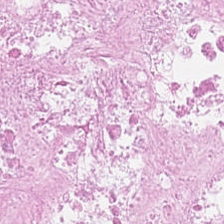FFPE tissue section; H&E stain.
Impression → necrotic debris.
